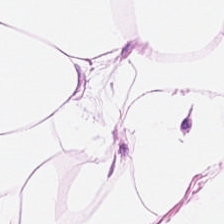224×224 px patch; hematoxylin and eosin.
Impression — adipose tissue.
